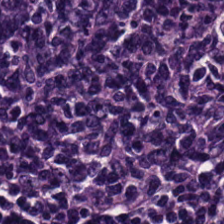Whole-slide-image patch; 224×224 px patch; hematoxylin and eosin — This patch shows lymphocytes.
